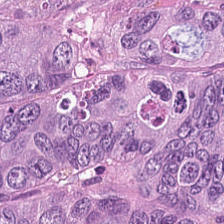Hematoxylin and eosin. Q: What does this patch show?
A: This is tumor epithelium.
